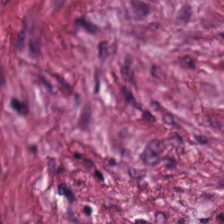H&E stain — The predominant tissue is desmoplastic stroma.
